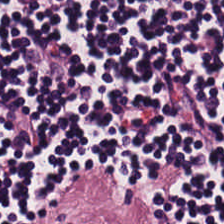Brightfield. 224×224 pixel tile. Hematoxylin and eosin — This patch shows lymphocytic infiltrate.
